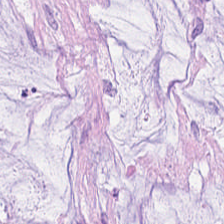The predominant tissue is mucus.
